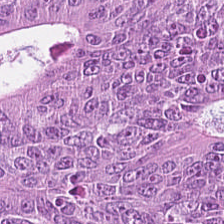Hematoxylin and eosin.
Colorectal adenocarcinoma.
